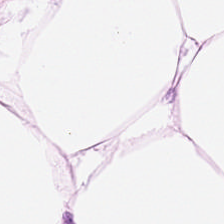Predominant tissue — fat tissue.
